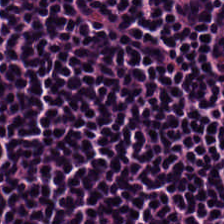Whole-slide-image patch; hematoxylin and eosin. Q: What tissue is shown?
A: The field shows lymphocytic infiltrate.
